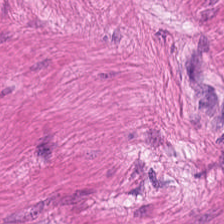Hematoxylin and eosin.
Classification = smooth muscle.
